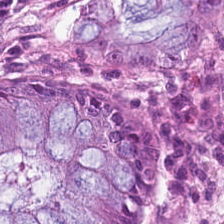0.5 µm/px; H&E stain; FFPE — Predominant tissue: normal colon mucosa.
